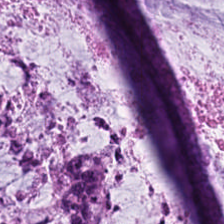FFPE · hematoxylin-and-eosin stained section — Predominant tissue — extracellular mucin.
